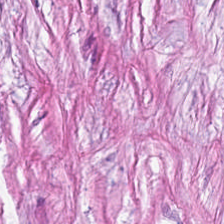Hematoxylin-and-eosin stained section.
This patch shows cancer-associated stroma.
